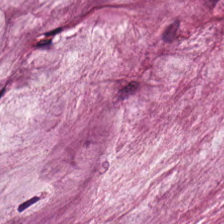H&E stain — This patch shows mucus.
